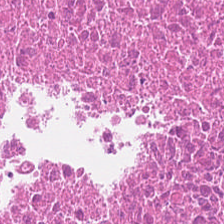0.5 µm/px; H&E-stained tissue section; FFPE tissue section. This field is debris.
